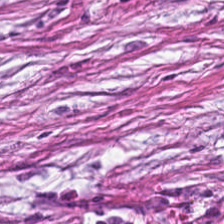Hematoxylin-and-eosin stained section — The tissue here is desmoplastic stroma.
